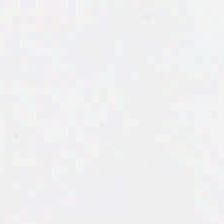This field is background (no tissue).
